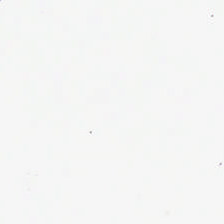Brightfield · hematoxylin and eosin — This field is background (no tissue).
